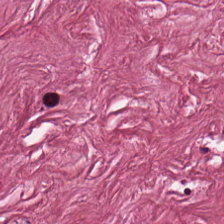0.5 microns per pixel · H&E-stained tissue section · formalin-fixed paraffin-embedded section. Q: What tissue type is shown here?
A: It is tumor-associated stroma.
